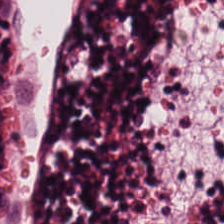0.5 µm/px; hematoxylin-and-eosin stained section — Finding — lymphocytic infiltrate.
